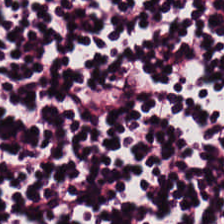H&E stain. 20× equivalent magnification. Classification = lymphocytes.
